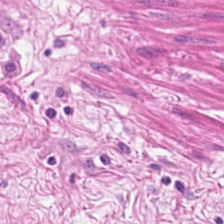20× equivalent magnification; brightfield; hematoxylin and eosin.
The predominant tissue is smooth muscle.
